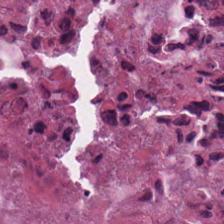H&E-stained tissue section — This field is cellular debris.
